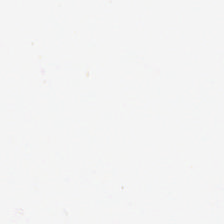Impression → no tissue.
